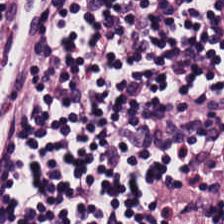H&E-stained tissue section — Predominant tissue: lymphocytes.
